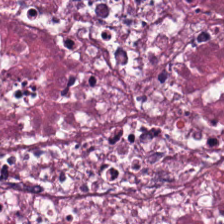224×224 px tile. Hematoxylin-and-eosin stained section.
This field is debris.
